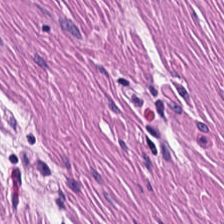Brightfield. H&E stain.
Smooth-muscle tissue.
